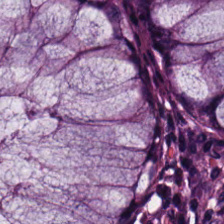Hematoxylin and eosin · WSI patch. Tissue type — non-neoplastic colon mucosa.
